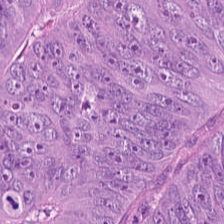Brightfield · hematoxylin and eosin.
The tissue type is malignant epithelium.
